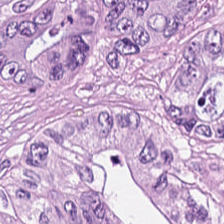{"tissue_type": "tumor epithelium"}
